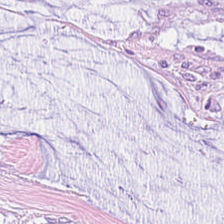Histology → mucus.
